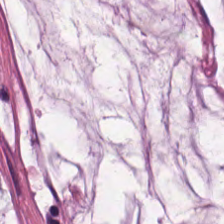Showing mucin.
